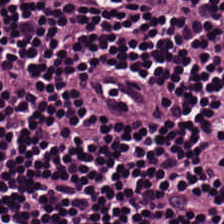Formalin-fixed paraffin-embedded section. Hematoxylin and eosin. 0.5 µm/px.
Showing lymphocyte aggregate.
